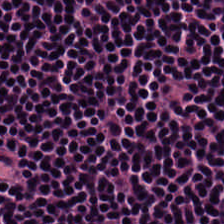0.5 µm/px · H&E stain.
Tissue class — lymphocyte aggregate.
